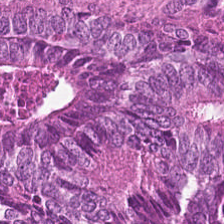H&E-stained tissue section. Formalin-fixed paraffin-embedded section. Q: What does this patch show?
A: The field shows colorectal adenocarcinoma epithelium.
